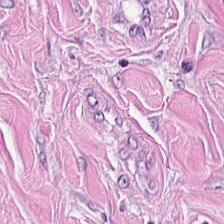H&E.
The tissue here is tumor-associated stroma.
